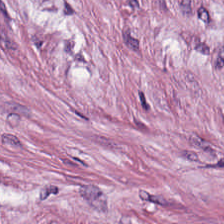H&E-stained tissue section. Tissue = cancer-associated stroma.
